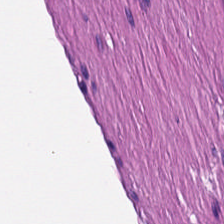H&E — Q: What type of tissue is this?
A: The field shows smooth-muscle tissue.
